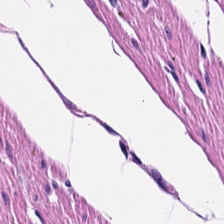H&E. Q: What does this patch show?
A: This is muscularis.
